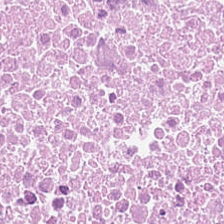The classification is necrotic debris.
